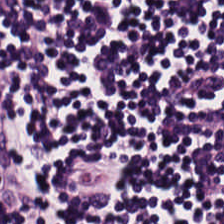Tissue — lymphocytes.
